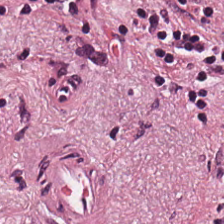Hematoxylin and eosin — {"tissue_type": "desmoplastic stroma"}
